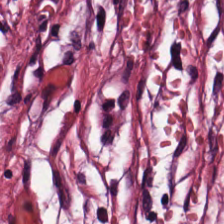Q: What type of tissue is this?
A: Tumor-associated stroma.
